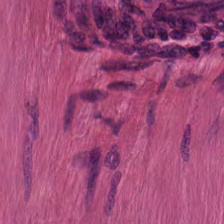Hematoxylin and eosin — Histology — smooth-muscle tissue.
